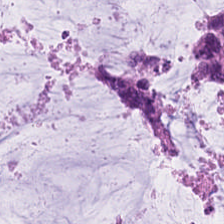Predominant tissue = extracellular mucin.
